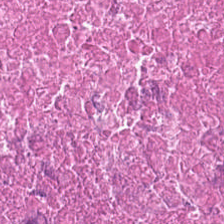H&E stain.
Classification = cellular debris.
